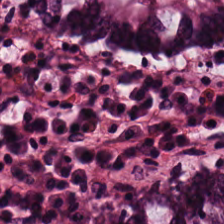Predominant tissue = normal colonic mucosa.
